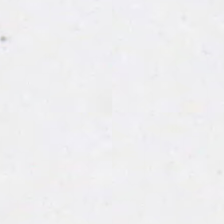Hematoxylin-and-eosin stained section. 224×224 pixel tile — Finding — empty background.
